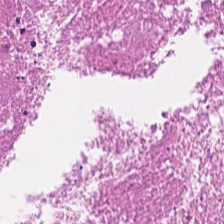Hematoxylin-and-eosin stained section — Tissue class — debris.
